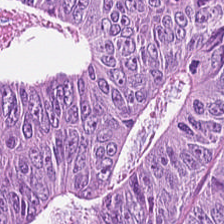H&E-stained tissue section.
The tissue is colorectal adenocarcinoma.
